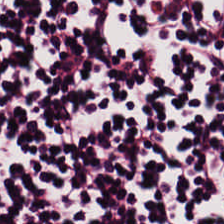Hematoxylin and eosin.
The tissue here is lymphocytic infiltrate.
